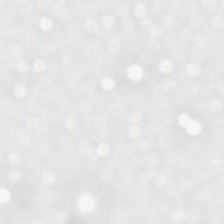Background.
